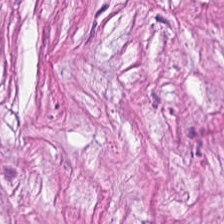H&E. Impression → tumor-associated stroma.
